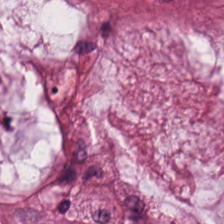Stain: H&E.
Tissue type: mucus.
